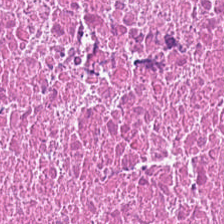224×224 pixel tile. 0.5 microns per pixel. Hematoxylin and eosin — The predominant tissue is necrotic debris.
